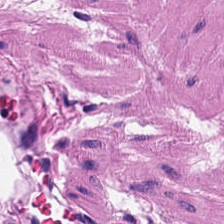Hematoxylin-and-eosin stained section; 0.5 µm per pixel — Classification = smooth-muscle tissue.
